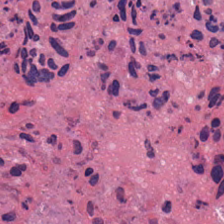H&E stain.
Showing necrotic debris.
